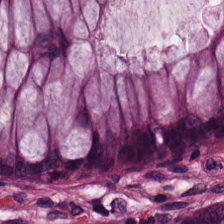Stain: hematoxylin-and-eosin stained section.
Tissue: normal colonic mucosa.
